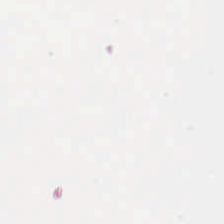Stain: hematoxylin and eosin.
Field content: empty background.
